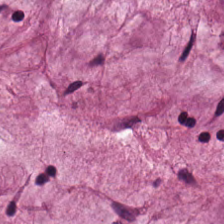FFPE · 20× equivalent magnification · H&E-stained tissue section. Predominantly extracellular mucin.
